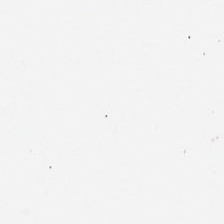H&E. 224×224 px tile.
Q: What is shown in this field?
A: It is empty background.
